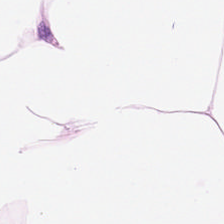H&E. 0.5 microns per pixel. {"tissue_type": "adipose tissue"}
